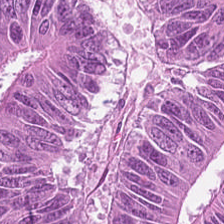Hematoxylin-and-eosin stained section — Colorectal adenocarcinoma epithelium.
